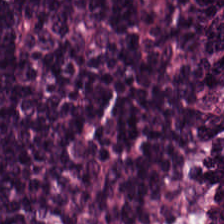Brightfield; H&E stain. {"tissue_type": "lymphoid infiltrate"}
